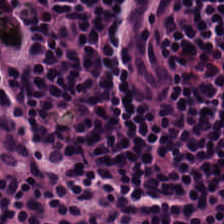Predominantly lymphocyte aggregate.
